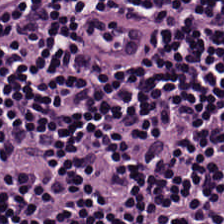H&E.
Predominantly lymphoid infiltrate.
